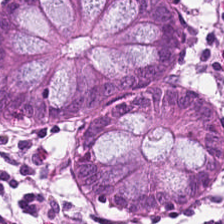Stain: hematoxylin and eosin.
Resolution: 0.5 µm/px.
Tissue: benign colonic mucosa.
